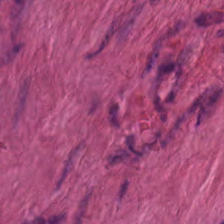Hematoxylin-and-eosin stained section. 20× equivalent magnification. Formalin-fixed paraffin-embedded section. Histology — muscularis.
